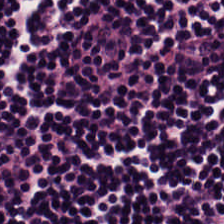Tissue type = lymphocytes.
